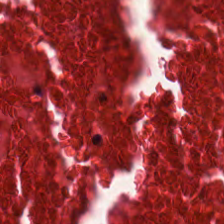H&E stain — Classification = necrotic debris.
